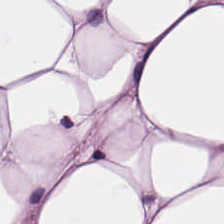H&E.
Showing adipocytes.
